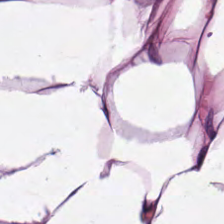H&E.
Tissue type = adipocytes.
